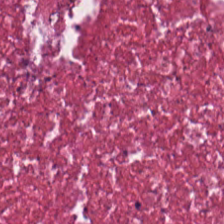H&E. 20× equivalent magnification — This patch shows desmoplastic stroma.
